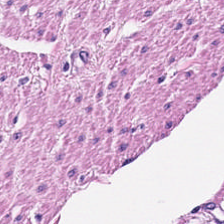H&E-stained tissue section. WSI patch. 0.5 microns per pixel.
Predominant tissue = muscularis.
